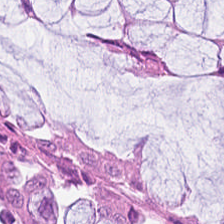{"tissue_type": "non-neoplastic colon mucosa"}
